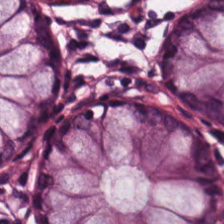H&E-stained tissue section showing non-neoplastic colon mucosa.
